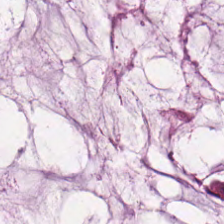Hematoxylin-and-eosin stained section. Classification: mucin.
